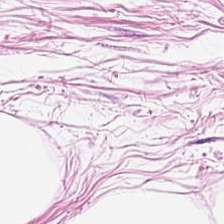H&E. FFPE tissue section. Showing adipose.
